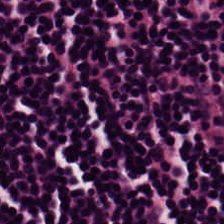H&E-stained section; the field shows lymphocyte aggregate.
